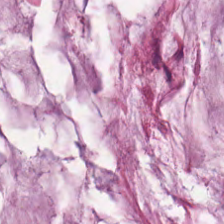H&E-stained tissue section.
Q: What is shown in this field?
A: This is mucus.
